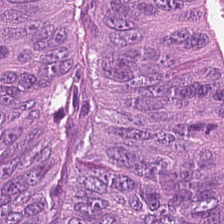Hematoxylin-and-eosin stained section; FFPE. The tissue class is colorectal adenocarcinoma.
